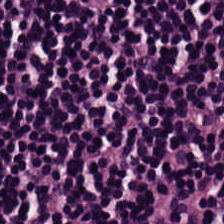{"tissue_type": "lymphocytes"}
